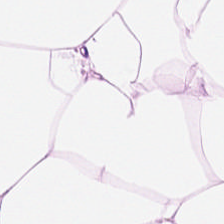H&E-stained tissue section. 20× equivalent magnification. Formalin-fixed paraffin-embedded section. This field is adipose tissue.
